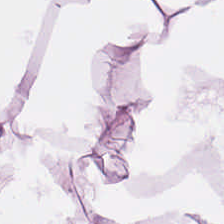Hematoxylin-and-eosin section: adipose tissue.
